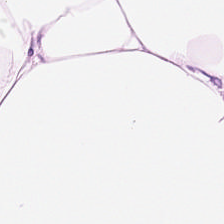H&E-stained tissue section. This patch shows adipocytes.
